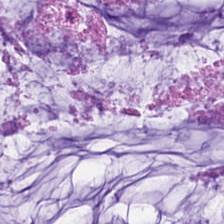H&E stain · 20× equivalent magnification. The tissue here is mucus.
